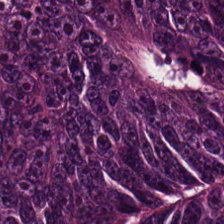The tissue here is colorectal adenocarcinoma epithelium.
